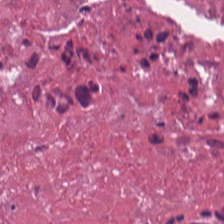H&E-stained tissue section — Q: What tissue is shown?
A: This is cellular debris.
